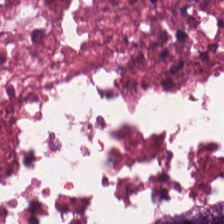FFPE; H&E stain; 20× equivalent magnification.
Classification = cellular debris.
